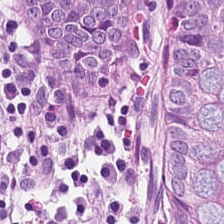H&E-stained tissue section.
Tissue type = non-neoplastic colon mucosa.
